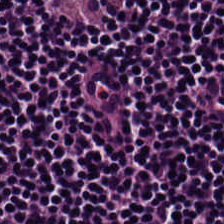224×224 pixel tile; 20× equivalent magnification; H&E-stained tissue section. Tissue — lymphocyte aggregate.
